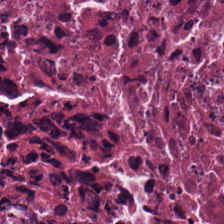Whole-slide-image patch; H&E-stained tissue section — Q: What tissue is shown?
A: This is necrotic debris.
